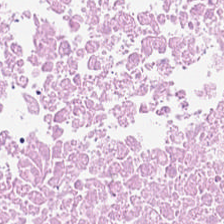Hematoxylin-and-eosin section: cellular debris.
